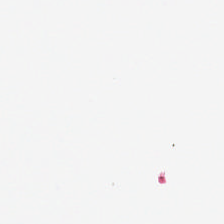H&E-stained tissue section — Classification = no tissue.
